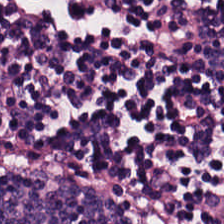Hematoxylin-and-eosin stained section. Classification — lymphocytes.
